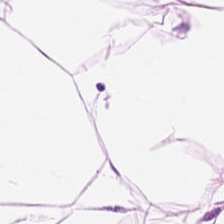Hematoxylin and eosin.
Tissue class: fat tissue.
